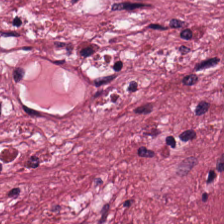0.5 microns per pixel. H&E — Q: Identify the tissue.
A: The field shows desmoplastic stroma.
